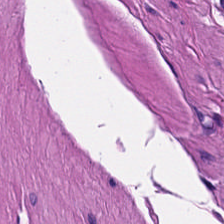H&E stain.
This patch shows muscularis.
